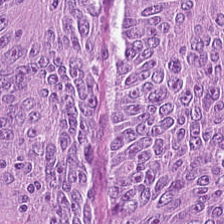Stain: H&E stain.
Acquisition: WSI patch.
Tissue type: colorectal adenocarcinoma.
